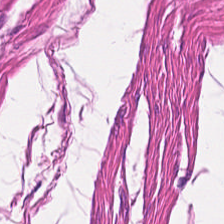FFPE · H&E. Predominant tissue: smooth-muscle tissue.
